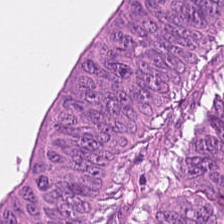The tissue class is malignant epithelium.
